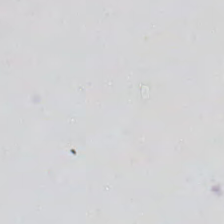This patch shows empty background.
